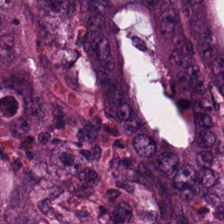This field is colorectal adenocarcinoma epithelium.
